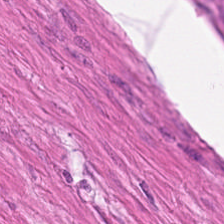H&E-stained tissue section · 0.5 microns per pixel — Tissue class: smooth muscle.
